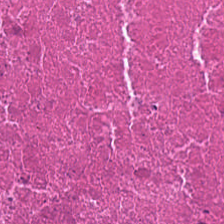Hematoxylin and eosin. FFPE tissue section — The predominant tissue is debris.
